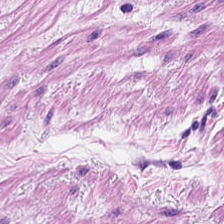Stain: hematoxylin-and-eosin stained section.
Tissue: muscularis.
